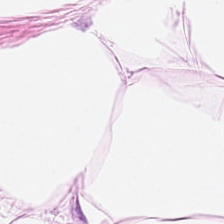H&E stain — The predominant tissue is adipose.
